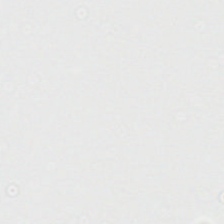224×224 px tile; hematoxylin-and-eosin stained section.
No tissue present; background only.
